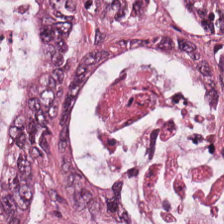0.5 microns per pixel · H&E stain · WSI patch. This patch shows colorectal adenocarcinoma.
